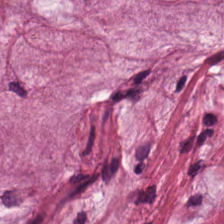Stain: hematoxylin-and-eosin stained section.
Tile size: 224×224 px patch.
Tissue: extracellular mucin.
